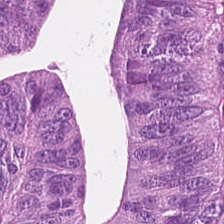H&E stain. Predominantly colorectal adenocarcinoma epithelium.
